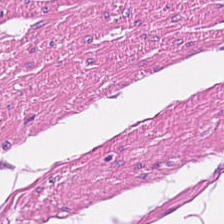FFPE tissue section · H&E-stained tissue section.
Tissue type = muscularis.
